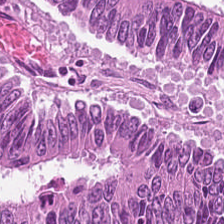H&E stain. 224×224 px tile — Impression → adenocarcinoma.
